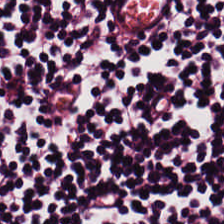H&E-stained tissue section · 224×224 pixel tile. Q: What type of tissue is this?
A: Lymphocyte aggregate.
